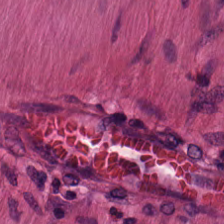Hematoxylin-and-eosin stained section. Predominant tissue — muscularis.
